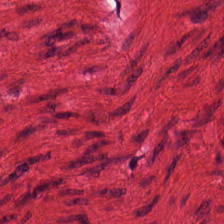Hematoxylin-and-eosin stained section — Predominantly smooth muscle.
